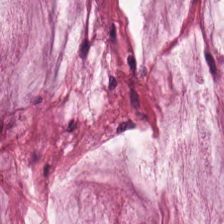H&E — Q: What tissue type is shown here?
A: The field shows mucin.
